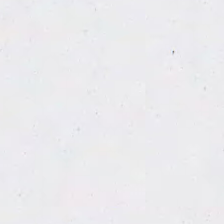Whole-slide-image patch · hematoxylin-and-eosin stained section · 224×224 px tile — The classification is background (no tissue).
